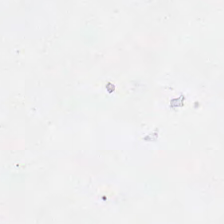Stain: hematoxylin-and-eosin stained section.
Acquisition: whole-slide-image patch.
Resolution: 0.5 microns per pixel.
Field content: background (no tissue).
